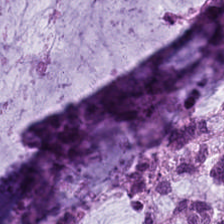Q: What is shown here?
A: Mucin.
